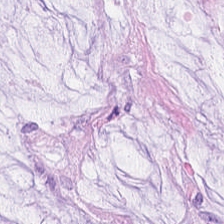H&E-stained tissue section. FFPE tissue section. Q: What is the predominant tissue type?
A: Mucin.
